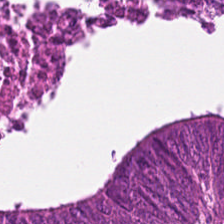H&E stain; FFPE tissue section. Histology — malignant epithelium.
